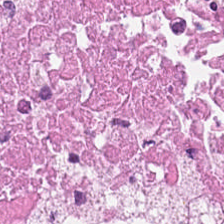H&E. 20× equivalent magnification.
Necrotic debris.
